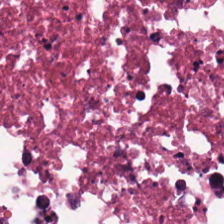{"tissue_type": "necrotic debris"}
